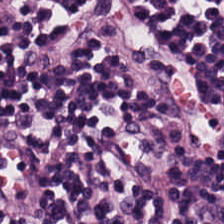H&E stain. The tissue type is lymphocytic infiltrate.
